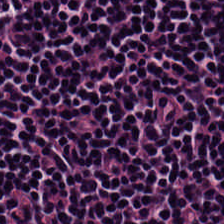Hematoxylin and eosin; WSI patch. Finding → lymphocyte aggregate.
